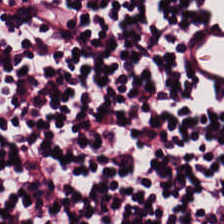H&E stain; formalin-fixed paraffin-embedded section. Q: What is the predominant tissue type?
A: The field shows lymphocyte aggregate.
